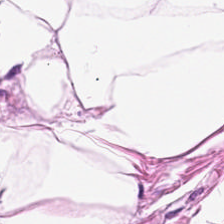H&E-stained tissue section. Tissue class: adipose.
